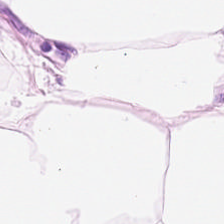H&E-stained tissue section — Q: What does this patch show?
A: Adipose.
